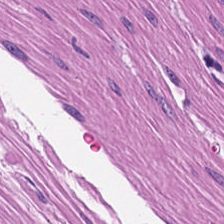Hematoxylin and eosin.
Q: Classify this patch.
A: The field shows smooth-muscle tissue.
